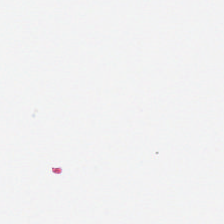Stain: H&E stain.
Preparation: FFPE.
Field content: background.
